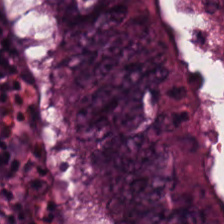H&E-stained tissue section — This field is tumor epithelium.
